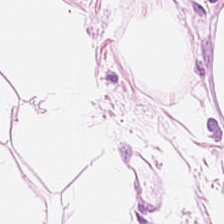The tissue type is adipocytes.
